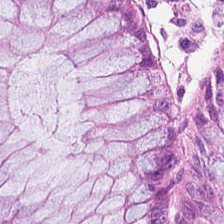H&E-stained tissue section. FFPE tissue section.
Tissue type — normal colon mucosa.
